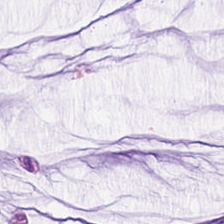FFPE tissue section · 0.5 µm per pixel · hematoxylin-and-eosin stained section.
Tissue type: mucus.
